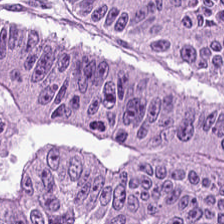Hematoxylin-and-eosin stained section · 224×224 px patch — Histology — colorectal adenocarcinoma epithelium.
